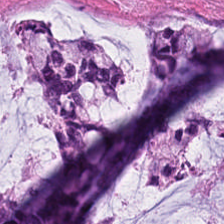H&E. 20× equivalent magnification. 224×224 pixel tile.
The tissue here is mucin.
